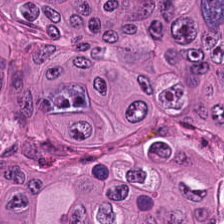H&E stain · formalin-fixed paraffin-embedded section · 0.5 microns per pixel. Predominantly tumor epithelium.
